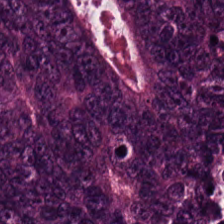Hematoxylin-and-eosin stained section. Q: What is shown in this field?
A: It is malignant epithelium.
